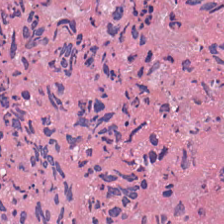Predominant tissue = necrotic debris.
